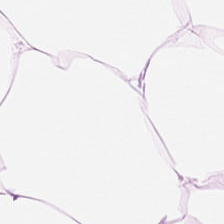FFPE tissue section; 20× equivalent magnification; H&E. The classification is adipose tissue.
